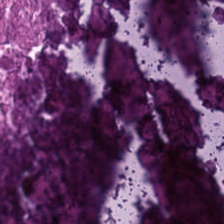224×224 px patch. Hematoxylin and eosin. Tissue: cellular debris.
